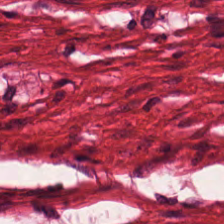H&E stain. Showing muscularis.
